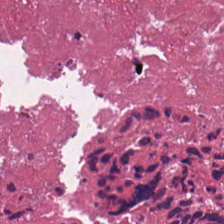Tissue class: necrotic debris.
